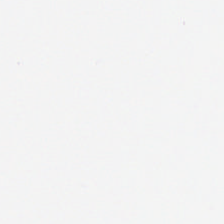H&E-stained tissue section.
Q: Classify this patch.
A: It is background (no tissue).
